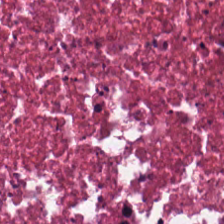Hematoxylin and eosin; brightfield — Showing necrotic debris.
